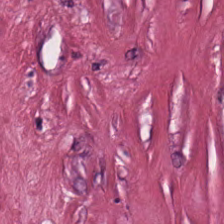Formalin-fixed paraffin-embedded section; H&E-stained tissue section; 224×224 px patch.
Histology — tumor stroma.
